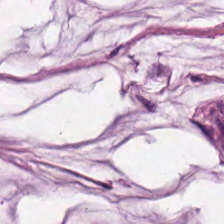Hematoxylin-and-eosin stained section. The tissue here is mucin.
